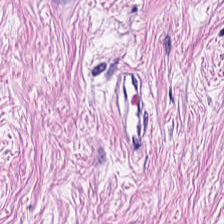Hematoxylin and eosin — Tumor stroma.
